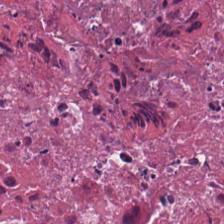H&E — Predominant tissue: necrotic debris.
